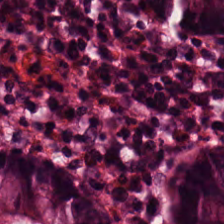H&E stain. FFPE. 224×224 px patch. Showing normal colon mucosa.
